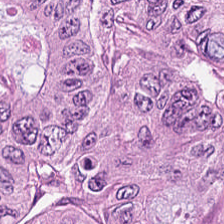Stain: H&E stain.
Tissue: malignant epithelium.
